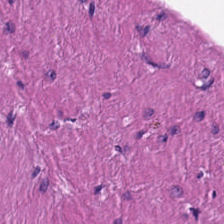H&E-stained tissue section · 0.5 µm/px · 224×224 px patch. Q: What tissue is shown?
A: This is smooth-muscle tissue.
